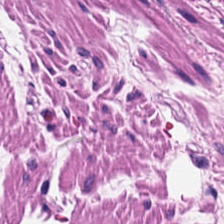224×224 pixel tile. H&E.
Muscularis.
